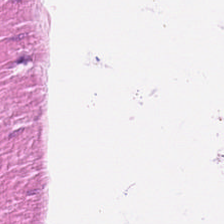H&E-stained tissue section showing muscularis.
